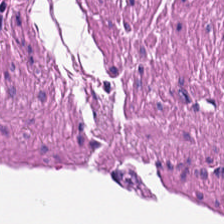Hematoxylin and eosin — Impression — smooth-muscle tissue.
